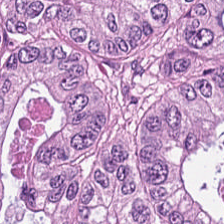Hematoxylin-and-eosin stained section. Malignant epithelium.
